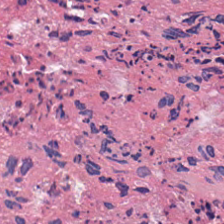This patch shows necrotic debris.
